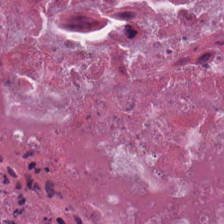H&E-stained tissue section. Formalin-fixed paraffin-embedded section — This field is cellular debris.
